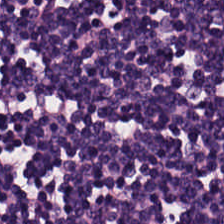Tissue type: lymphocytic infiltrate.
